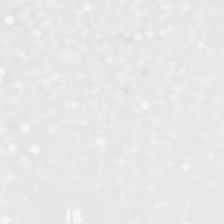H&E stain. Finding → no tissue.
